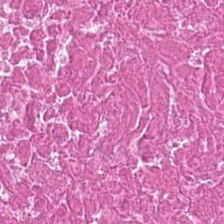H&E.
Predominantly necrotic debris.
